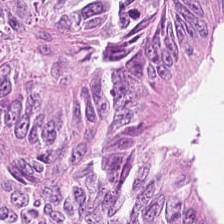Hematoxylin-and-eosin stained section. Tumor epithelium.
